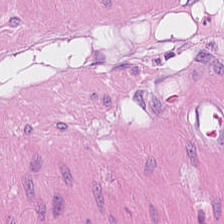This field is smooth-muscle tissue.
